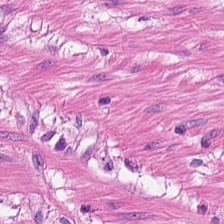H&E. The predominant tissue is muscularis.
